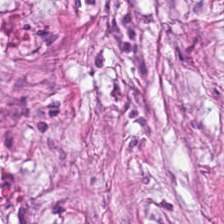Formalin-fixed paraffin-embedded section · H&E — The tissue here is tumor stroma.
